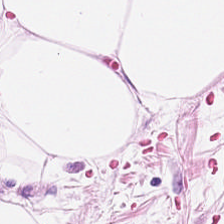Adipose.
